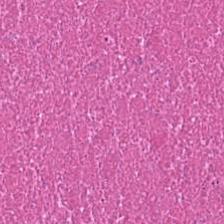H&E.
The tissue here is cellular debris.
